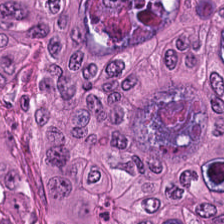Formalin-fixed paraffin-embedded section · H&E stain. This patch shows malignant epithelium.
